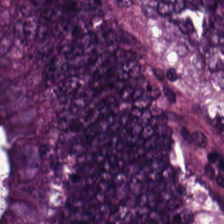H&E; WSI patch.
This patch shows colorectal adenocarcinoma epithelium.
